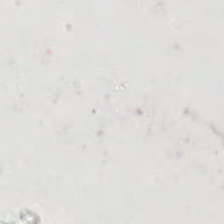H&E.
Q: What is shown here?
A: It is background (no tissue).
